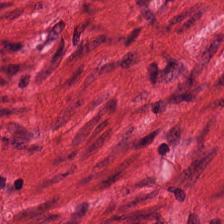Impression — muscularis.
